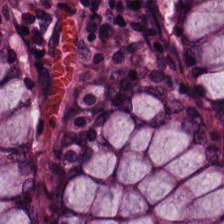H&E.
Q: What is shown here?
A: Normal colon mucosa.
